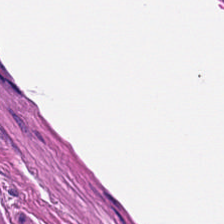H&E stain — Histology → smooth muscle.
